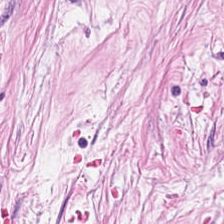Hematoxylin-and-eosin section: cancer-associated stroma.
